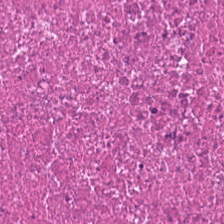224×224 px patch; H&E — Predominantly cellular debris.
